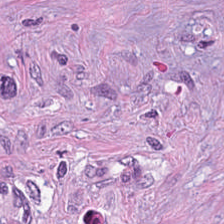Hematoxylin-and-eosin stained section.
Tissue — desmoplastic stroma.
